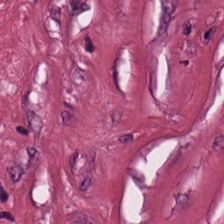Hematoxylin and eosin. This patch shows tumor stroma.
